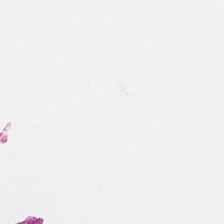{"content": "empty background"}
